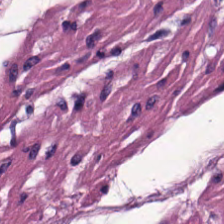Hematoxylin-and-eosin stained section — Q: What tissue is shown?
A: This is smooth-muscle tissue.
